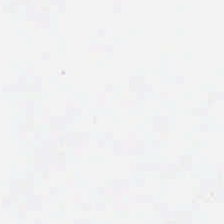H&E stain. FFPE.
No tissue.
